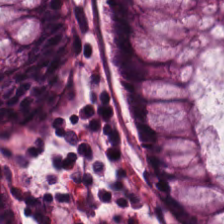224×224 pixel tile; hematoxylin-and-eosin stained section.
Impression — normal colonic mucosa.
